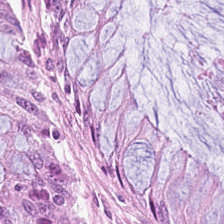Stain: H&E-stained tissue section.
Resolution: 0.5 µm per pixel.
Tissue: non-neoplastic colon mucosa.
